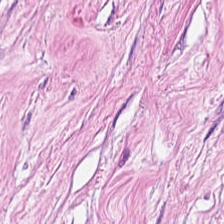20× equivalent magnification. Hematoxylin and eosin. 224×224 pixel tile — Tissue class = tumor-associated stroma.
